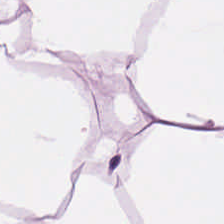Hematoxylin and eosin. Histology → fat tissue.
